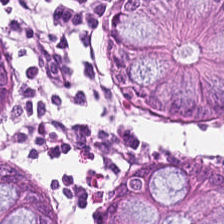Stain: H&E-stained tissue section.
Preparation: FFPE tissue section.
Classification: non-neoplastic colon mucosa.
